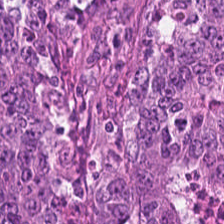H&E-stained tissue section.
Histology → malignant epithelium.
